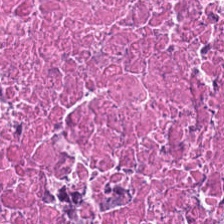Stain: hematoxylin-and-eosin stained section.
Resolution: 0.5 microns per pixel.
Predominant tissue: necrotic debris.
